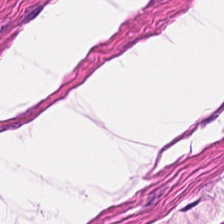Stain: H&E-stained tissue section.
Tissue class: smooth-muscle tissue.
